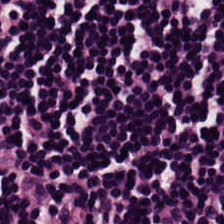Hematoxylin and eosin — Showing lymphocytes.
